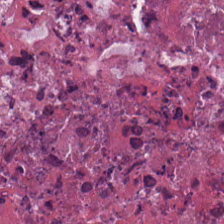0.5 µm/px · H&E. Showing necrotic debris.
